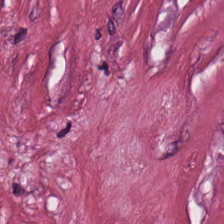Predominantly tumor stroma.
